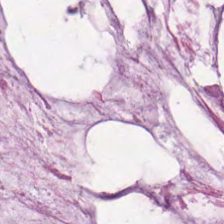H&E stain — Impression → mucus.
